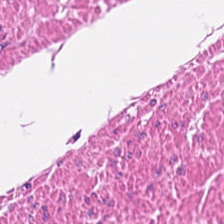H&E-stained tissue section — Finding → muscularis.
